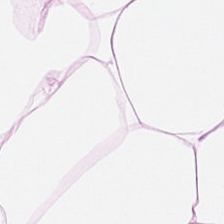0.5 µm/px; formalin-fixed paraffin-embedded section; hematoxylin-and-eosin stained section.
Impression → adipose tissue.
